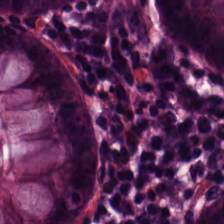Stain: H&E-stained tissue section.
Preparation: FFPE tissue section.
Resolution: 0.5 µm/px.
Classification: benign colonic mucosa.
